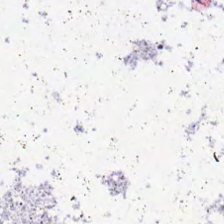Hematoxylin and eosin.
Empty field — background.
